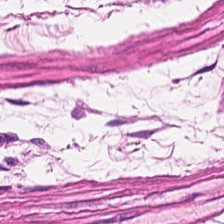Brightfield microscopy. H&E stain. Histology → muscularis.
